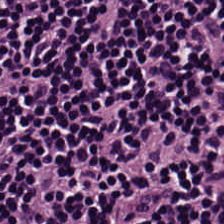H&E-stained tissue section — Tissue type — lymphocytic infiltrate.
